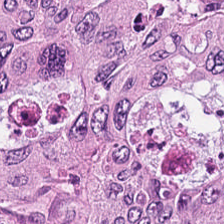Hematoxylin and eosin. This field is malignant epithelium.
